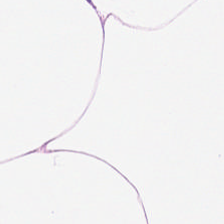0.5 µm per pixel. Hematoxylin and eosin. The classification is adipose.
